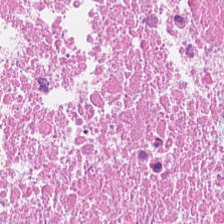Stain: hematoxylin-and-eosin stained section.
Tissue: debris.
